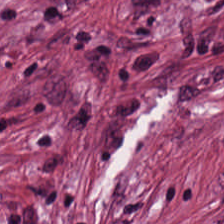H&E. The tissue here is tumor stroma.
